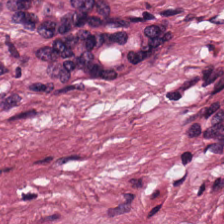Q: What is shown in this field?
A: The field shows desmoplastic stroma.
